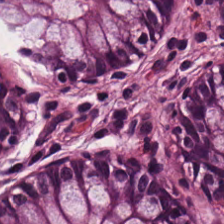Stain: H&E-stained tissue section.
Preparation: FFPE tissue section.
Tissue: non-neoplastic colon mucosa.
